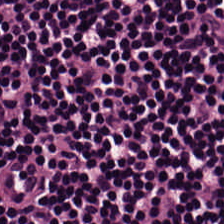Hematoxylin and eosin.
Predominantly lymphocytes.
